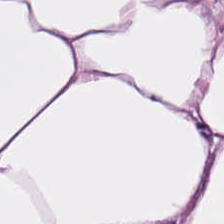Q: What tissue is shown?
A: The field shows fat tissue.
